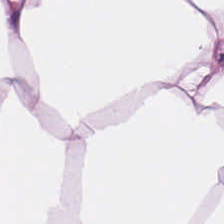0.5 µm/px; H&E-stained tissue section; FFPE.
{"tissue_type": "adipose tissue"}
